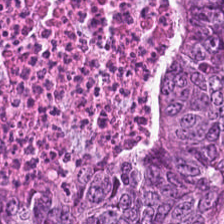0.5 microns per pixel. Formalin-fixed paraffin-embedded section. Hematoxylin-and-eosin stained section — Predominantly colorectal adenocarcinoma.
